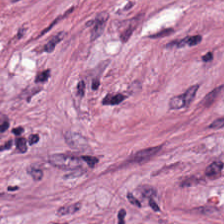H&E stain. FFPE tissue section.
Q: What is shown in this field?
A: The field shows desmoplastic stroma.
